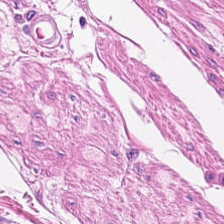Classification = smooth-muscle tissue.
